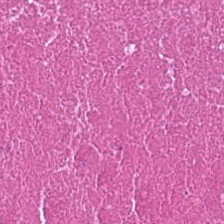The predominant tissue is cellular debris.
